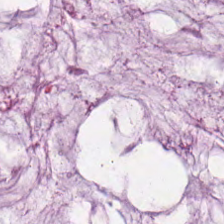Histology → mucus.
